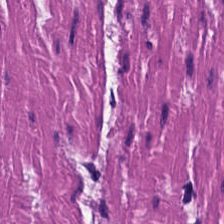H&E-stained tissue section. Q: What is the predominant tissue type?
A: It is smooth muscle.
